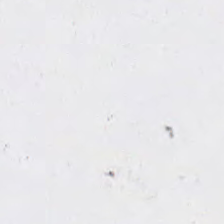0.5 microns per pixel · H&E-stained tissue section · 224×224 px tile. Q: Classify this patch.
A: The field shows empty background.
